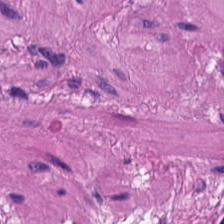H&E-stained tissue section. 0.5 µm per pixel — Smooth muscle.
